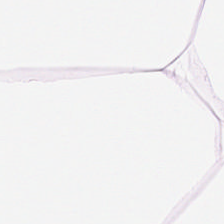Stain: H&E stain.
Resolution: 0.5 microns per pixel.
Tile size: 224×224 px patch.
Classification: fat tissue.
